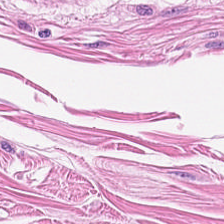Predominantly muscularis.
